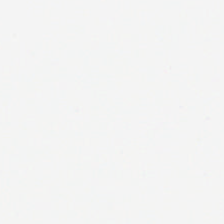H&E-stained tissue section. FFPE. Content — no tissue.
